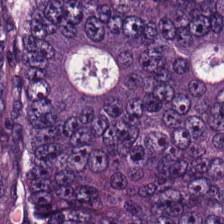Hematoxylin-and-eosin stained section; 224×224 px patch — Tissue = colorectal adenocarcinoma.
